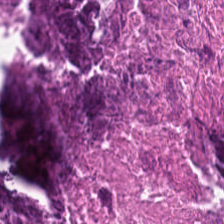{"tissue_type": "cellular debris"}
